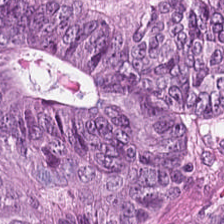Impression — tumor epithelium.
